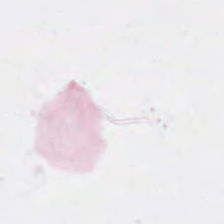{"content": "no tissue"}
